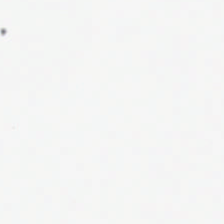Empty field — background (no tissue).
